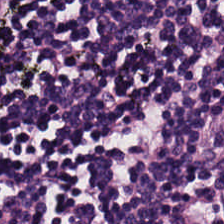Stain: hematoxylin and eosin.
Tissue: lymphocytic infiltrate.
